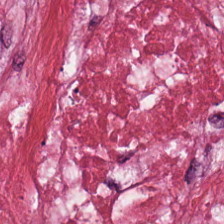Stain: hematoxylin and eosin.
Tissue class: tumor stroma.
